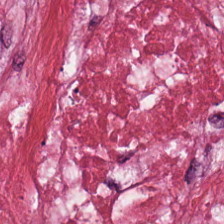Stain: hematoxylin and eosin.
Tissue class: tumor stroma.
